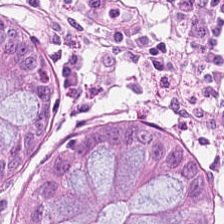{"tissue_type": "normal colon mucosa"}
